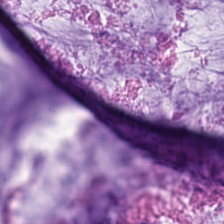H&E-stained tissue section. Q: What type of tissue is this?
A: Mucin.
